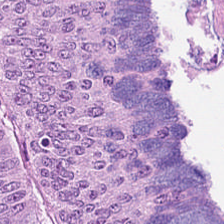FFPE. Hematoxylin-and-eosin stained section. 224×224 px patch.
Predominantly adenocarcinoma.
